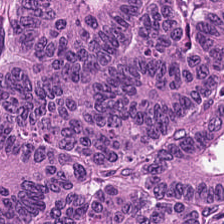H&E. Showing colorectal adenocarcinoma.
